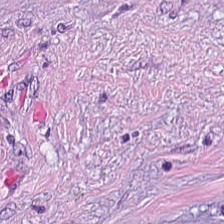Hematoxylin-and-eosin stained section — Predominantly tumor-associated stroma.
